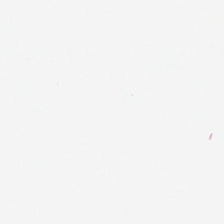Stain: hematoxylin and eosin.
Resolution: 0.5 µm/px.
Field content: no tissue.
